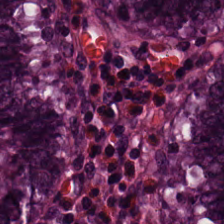Hematoxylin and eosin; 0.5 microns per pixel; WSI patch. {"tissue_type": "benign colonic mucosa"}
